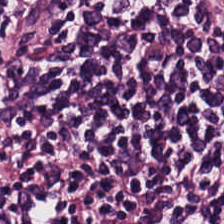Hematoxylin-and-eosin stained section; FFPE tissue section — Predominant tissue = lymphocytes.
